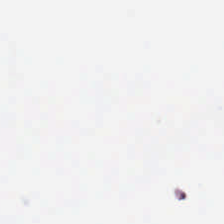Background (no tissue).
